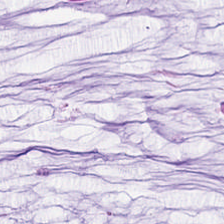H&E patch showing mucus.
